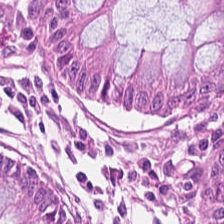0.5 µm per pixel. Hematoxylin and eosin. 224×224 px patch.
Classification: normal colon mucosa.
